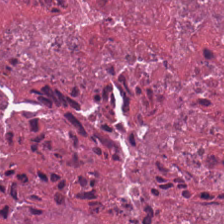H&E-stained tissue section — Tissue: cellular debris.
